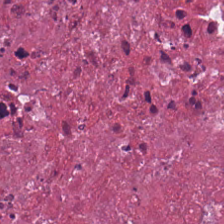H&E-stained tissue section — The tissue here is cellular debris.
